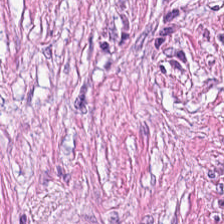Hematoxylin and eosin. Showing tumor stroma.
